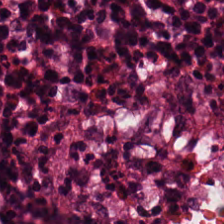Hematoxylin-and-eosin stained section. Impression → normal colon mucosa.
